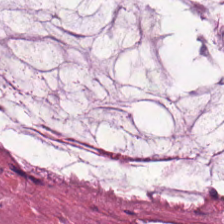H&E-stained tissue section. Q: What tissue type is shown here?
A: This is mucus.
